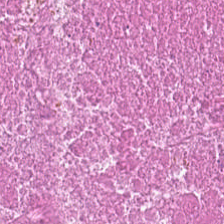FFPE. H&E-stained tissue section — Q: What does this patch show?
A: It is cellular debris.
